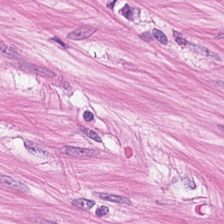Hematoxylin-and-eosin stained section.
Showing smooth-muscle tissue.
